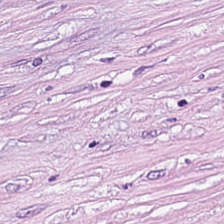H&E stain. Classification — cancer-associated stroma.
